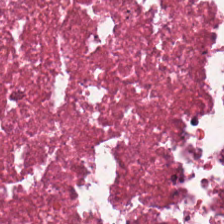H&E stain.
{"tissue_type": "necrotic debris"}
